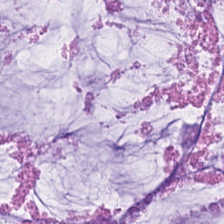This patch shows mucus.
